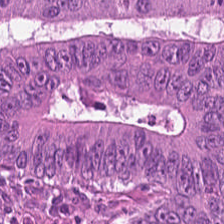H&E — Predominant tissue: colorectal adenocarcinoma epithelium.
